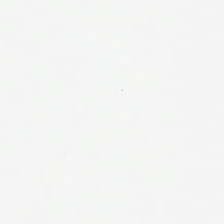H&E stain — The field content is no tissue.
